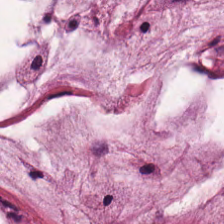Hematoxylin-and-eosin section: extracellular mucin.
